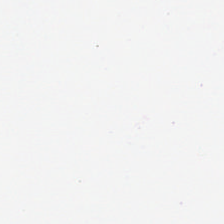Q: Classify this patch.
A: No tissue.
